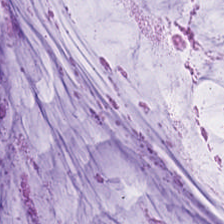H&E · 224×224 px tile · 0.5 microns per pixel — The predominant tissue is extracellular mucin.
